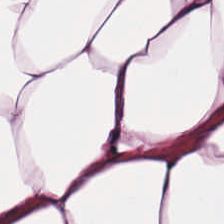224×224 px tile. Hematoxylin-and-eosin stained section.
The tissue class is adipocytes.
